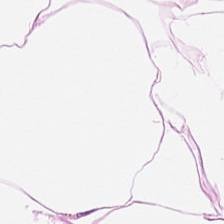Stain: H&E stain.
Acquisition: brightfield.
Tissue: adipose tissue.
